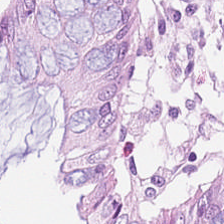Hematoxylin and eosin. Tissue type = normal colon mucosa.
